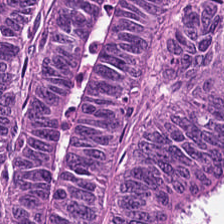Hematoxylin-and-eosin stained section. Adenocarcinoma.
